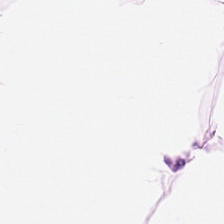Hematoxylin-and-eosin section: fat tissue.
